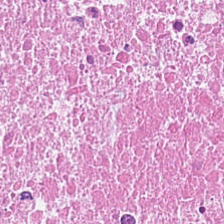Stain: H&E stain.
Tissue class: necrotic debris.
